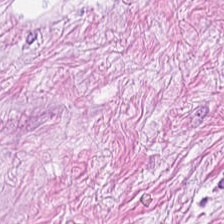H&E — Classification — desmoplastic stroma.
